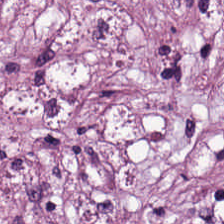Stain: H&E.
Classification: tumor-associated stroma.
